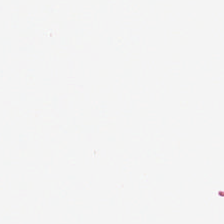FFPE tissue section · H&E. This field is background (no tissue).
